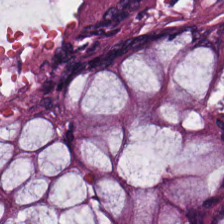Stain: hematoxylin and eosin.
Acquisition: brightfield.
Predominant tissue: normal colon mucosa.
